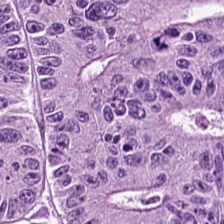0.5 µm per pixel. H&E-stained tissue section.
The classification is colorectal adenocarcinoma.
